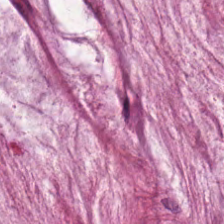Hematoxylin and eosin. Formalin-fixed paraffin-embedded section.
Histology — mucin.
